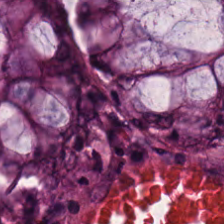Hematoxylin and eosin. Tissue class — non-neoplastic colon mucosa.
